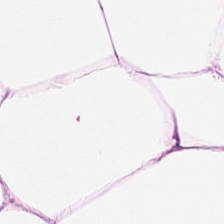Stain: H&E.
Preparation: formalin-fixed paraffin-embedded section.
Acquisition: brightfield.
Classification: fat tissue.
